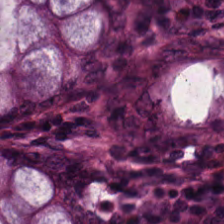224×224 px tile. H&E stain. Benign colonic mucosa.
